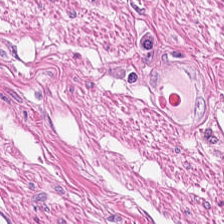H&E. Q: Classify this patch.
A: Muscularis.
